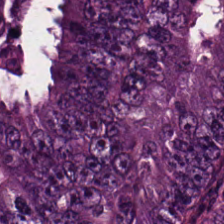Hematoxylin-and-eosin stained section. 224×224 px tile. Q: Identify the tissue.
A: Colorectal adenocarcinoma epithelium.
